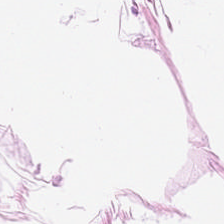Stain: H&E.
Classification: adipose.
